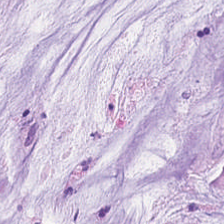0.5 µm per pixel. Hematoxylin and eosin — The tissue is mucus.
